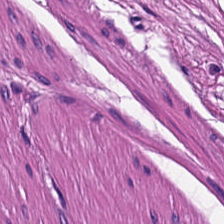H&E-stained tissue section. FFPE. The tissue here is muscularis.
